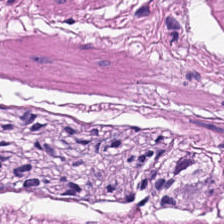FFPE · H&E stain — Tissue class: smooth muscle.
